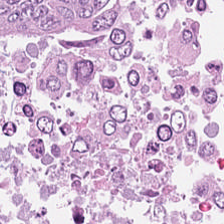Hematoxylin and eosin — Finding — tumor epithelium.
